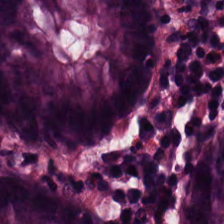0.5 µm/px · H&E-stained tissue section · FFPE — The predominant tissue is benign colonic mucosa.
